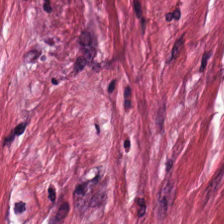H&E stain. Q: What type of tissue is this?
A: This is tumor stroma.
